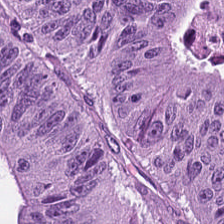Formalin-fixed paraffin-embedded section. H&E-stained tissue section. Brightfield.
Finding — adenocarcinoma.
